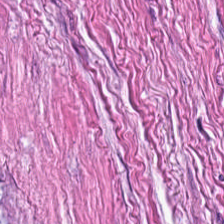This field is muscularis.
